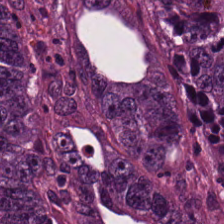Hematoxylin-and-eosin stained section.
The predominant tissue is adenocarcinoma.
